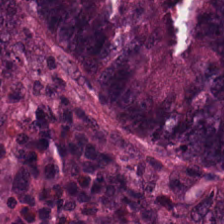224×224 pixel tile; hematoxylin-and-eosin stained section — The predominant tissue is tumor epithelium.
